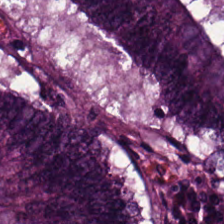H&E stain — Q: Classify this patch.
A: Colorectal adenocarcinoma epithelium.
